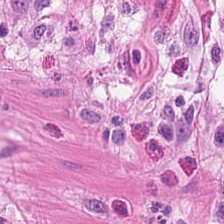Hematoxylin and eosin — Showing smooth muscle.
